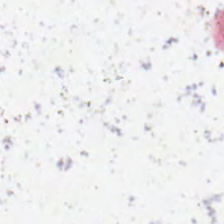Q: What does this patch show?
A: The field shows background.
